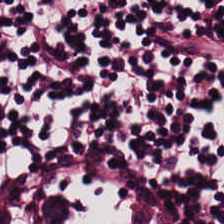The predominant tissue is lymphocytic infiltrate.
